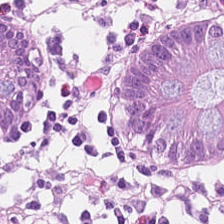H&E — This field is benign colonic mucosa.
